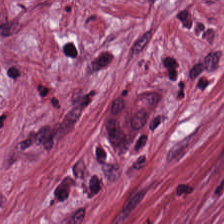Hematoxylin-and-eosin stained section.
The predominant tissue is cancer-associated stroma.
